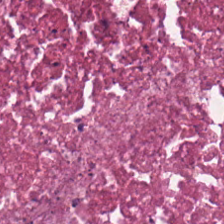H&E-stained tissue section. Whole-slide-image patch — Q: What type of tissue is this?
A: It is necrotic debris.
